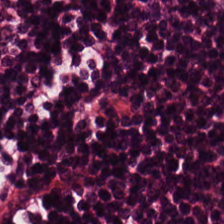The predominant tissue is lymphoid infiltrate.
